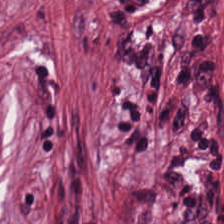H&E. 224×224 px patch. {"tissue_type": "tumor-associated stroma"}
